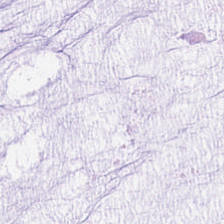Predominant tissue = extracellular mucin.
